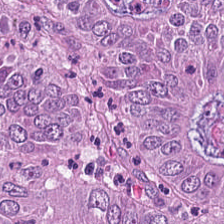H&E-stained tissue section. This field is adenocarcinoma.
